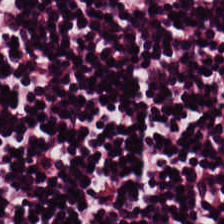Hematoxylin-and-eosin stained section. Lymphocytes.
